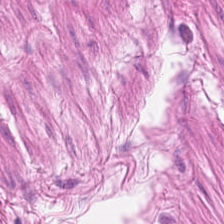Muscularis.
